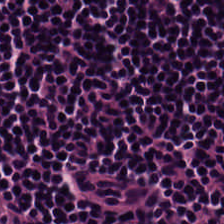Hematoxylin and eosin — {"tissue_type": "lymphoid infiltrate"}
